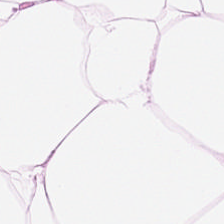Predominantly adipocytes.
